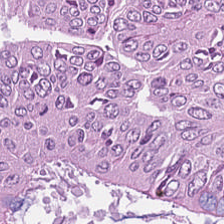H&E · brightfield microscopy · 20× equivalent magnification — Finding → malignant epithelium.
